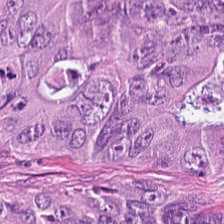H&E stain.
The predominant tissue is colorectal adenocarcinoma.
